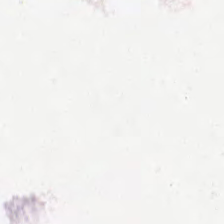Whole-slide-image patch. Hematoxylin-and-eosin stained section. 20× equivalent magnification.
Classification — empty background.
